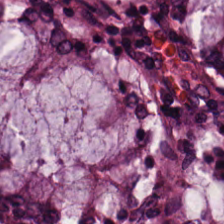Stain: H&E.
Tissue class: normal colonic mucosa.
